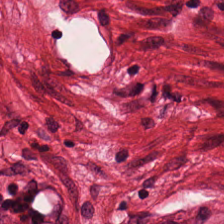224×224 px patch. H&E. Q: What tissue type is shown here?
A: Smooth-muscle tissue.
